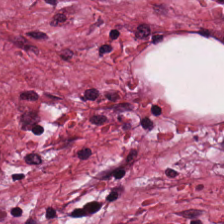224×224 pixel tile · FFPE tissue section · hematoxylin and eosin. This patch shows desmoplastic stroma.
